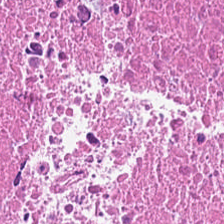Formalin-fixed paraffin-embedded section. H&E. Tissue: necrotic debris.
